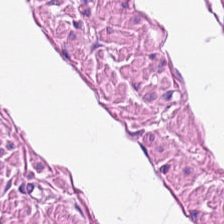The tissue type is smooth muscle.
